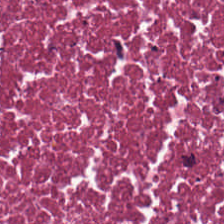FFPE tissue section; H&E stain.
The tissue here is cellular debris.
